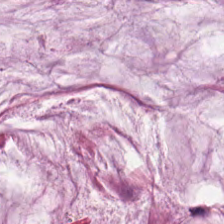Formalin-fixed paraffin-embedded section; H&E.
The tissue here is mucin.
